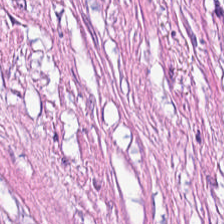Stain: H&E.
Predominant tissue: cancer-associated stroma.
